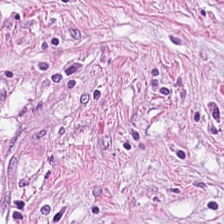Q: What is shown here?
A: The field shows tumor-associated stroma.
